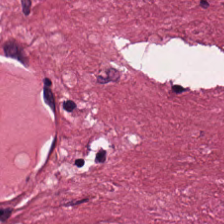Q: What is shown here?
A: The field shows cancer-associated stroma.
